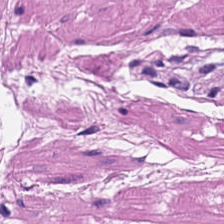224×224 pixel tile. H&E stain — Histology → smooth-muscle tissue.
